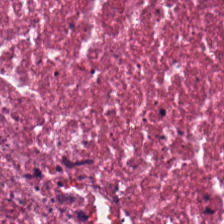Hematoxylin-and-eosin stained section. 0.5 microns per pixel — Classification = necrotic debris.
